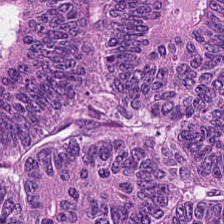Q: What type of tissue is this?
A: Malignant epithelium.
